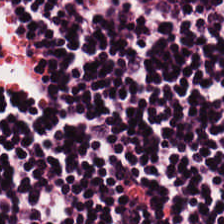FFPE; 224×224 pixel tile; H&E. Tissue: lymphocytic infiltrate.
